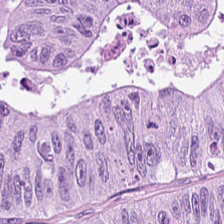Stain: H&E stain.
Preparation: FFPE.
Tissue type: malignant epithelium.
